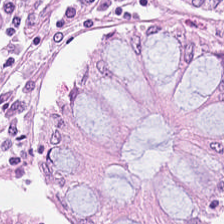Hematoxylin-and-eosin stained section; 224×224 px patch — Q: Classify this patch.
A: It is benign colonic mucosa.
